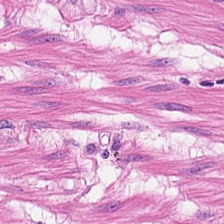H&E-stained tissue section. This field is smooth muscle.
